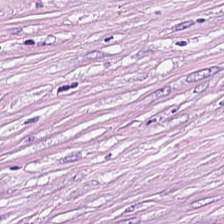Hematoxylin and eosin; formalin-fixed paraffin-embedded section — This patch shows cancer-associated stroma.
